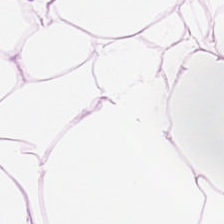H&E stain.
Q: What does this patch show?
A: The field shows adipocytes.
